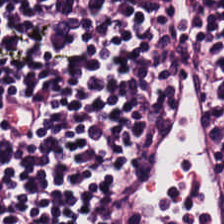Hematoxylin and eosin; FFPE tissue section; brightfield.
Q: Identify the tissue.
A: This is lymphocyte aggregate.
